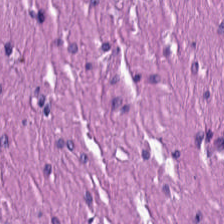Stain: H&E stain.
Tissue class: smooth muscle.
